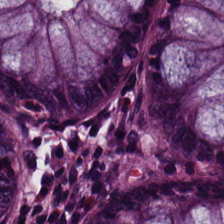Q: What tissue is shown?
A: It is non-neoplastic colon mucosa.
